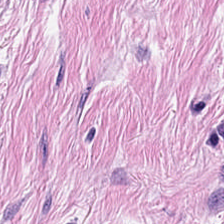Stain: hematoxylin-and-eosin stained section.
Tile size: 224×224 px patch.
Tissue class: desmoplastic stroma.
